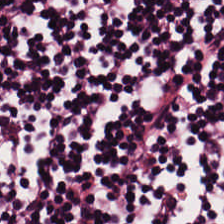Hematoxylin and eosin · brightfield microscopy.
{"tissue_type": "lymphoid infiltrate"}
